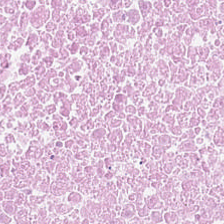H&E-stained tissue section; 224×224 pixel tile.
Showing necrotic debris.
